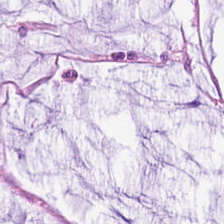Q: What is shown here?
A: Extracellular mucin.
